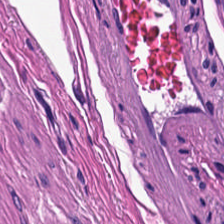Finding — smooth-muscle tissue.
